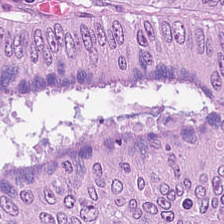H&E-stained tissue section. The predominant tissue is colorectal adenocarcinoma epithelium.
